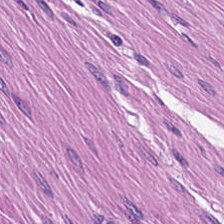H&E-stained tissue section; brightfield. The predominant tissue is muscularis.
